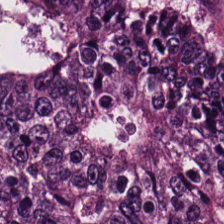FFPE tissue section · brightfield microscopy · H&E stain.
Adenocarcinoma.
